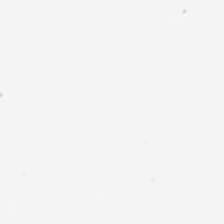H&E stain.
{"content": "background (no tissue)"}
